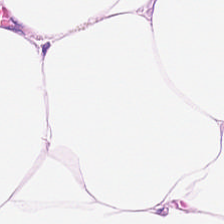Hematoxylin-and-eosin stained section.
The tissue type is adipose tissue.
